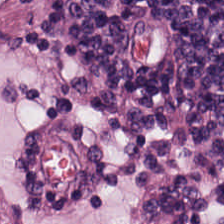Brightfield. H&E.
Tissue class: lymphocytes.
